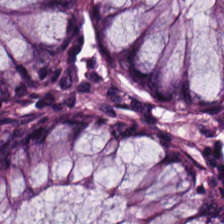H&E stain.
The predominant tissue is non-neoplastic colon mucosa.
